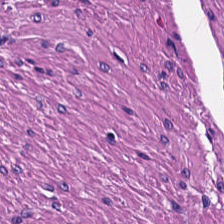H&E stain. Predominant tissue = smooth muscle.
